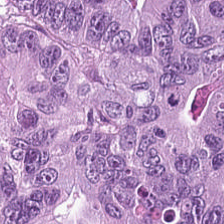FFPE; hematoxylin-and-eosin stained section; whole-slide-image patch.
Tissue type: malignant epithelium.
